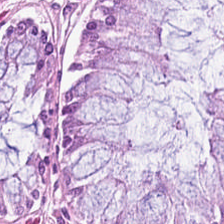Hematoxylin-and-eosin stained section.
{"tissue_type": "benign colonic mucosa"}
